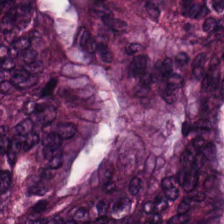H&E-stained tissue section.
The tissue here is colorectal adenocarcinoma epithelium.
